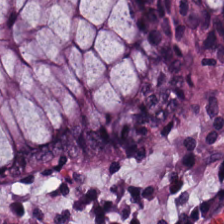224×224 px tile. 0.5 microns per pixel. H&E. Showing normal colonic mucosa.
